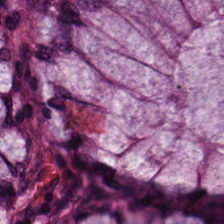H&E-stained section; the field shows normal colonic mucosa.
